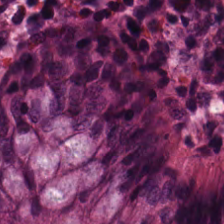FFPE · brightfield microscopy · H&E — The tissue class is benign colonic mucosa.
